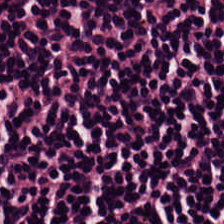Hematoxylin and eosin; 0.5 microns per pixel; FFPE — Classification — lymphocytes.
